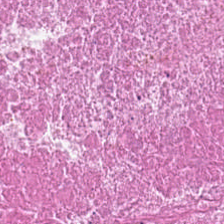WSI patch · 224×224 px tile · hematoxylin and eosin. Q: What is shown in this field?
A: The field shows debris.
